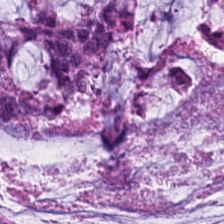H&E-stained tissue section; FFPE tissue section; 20× equivalent magnification. Finding — mucin.
